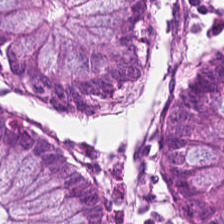224×224 pixel tile. Hematoxylin and eosin — {"tissue_type": "non-neoplastic colon mucosa"}
